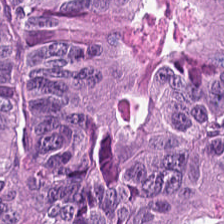Stain: hematoxylin-and-eosin stained section.
Tissue class: malignant epithelium.
